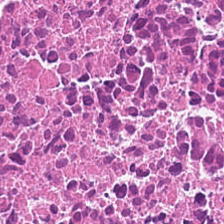This field is cellular debris.
